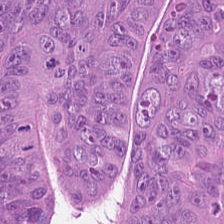Hematoxylin-and-eosin stained section.
Predominantly tumor epithelium.
